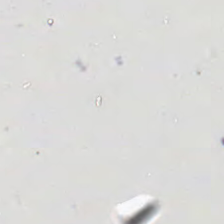The content is background (no tissue).
